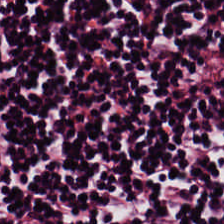Hematoxylin and eosin — The tissue here is lymphocyte aggregate.
